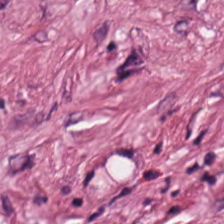Hematoxylin and eosin.
Predominantly cancer-associated stroma.
